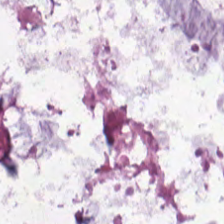Predominantly mucin.
